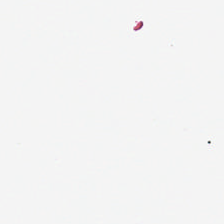Hematoxylin-and-eosin stained section · formalin-fixed paraffin-embedded section · brightfield. Content: no tissue.
